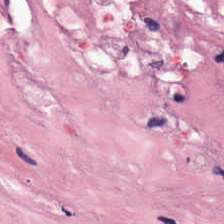Brightfield microscopy · H&E stain.
Tissue type: tumor-associated stroma.
